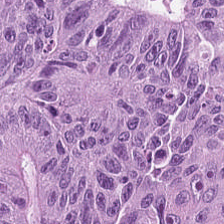Stain: H&E stain.
Tissue type: adenocarcinoma.
